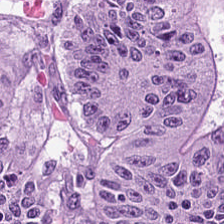H&E-stained tissue section. Histology — tumor epithelium.
